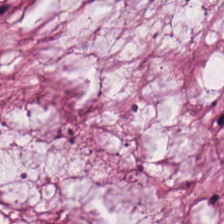0.5 µm per pixel; H&E stain; whole-slide-image patch — Classification — extracellular mucin.
